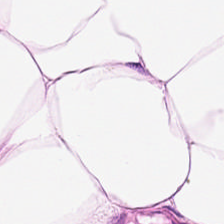20× equivalent magnification. Hematoxylin-and-eosin stained section. Formalin-fixed paraffin-embedded section. The predominant tissue is adipose.
